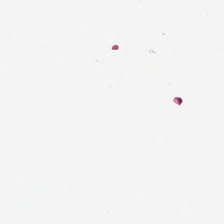H&E stain. Field content: background.
